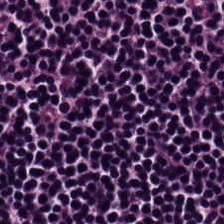H&E-stained tissue section.
The tissue here is lymphoid infiltrate.
